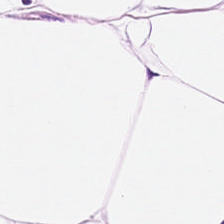H&E-stained tissue section. Tissue — adipose.
